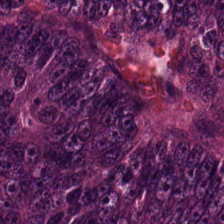H&E stain — Q: What is shown here?
A: This is adenocarcinoma.
